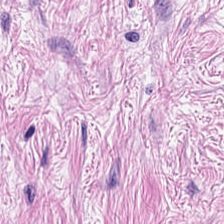H&E stain — This patch shows tumor-associated stroma.
